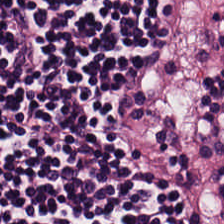{"tissue_type": "lymphoid infiltrate"}
